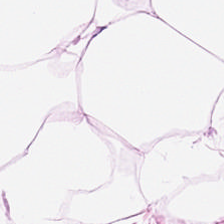H&E-stained section; the field shows fat tissue.
